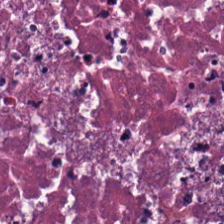H&E-stained tissue section. Finding — cellular debris.
